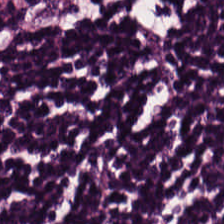Impression → lymphocyte aggregate.
